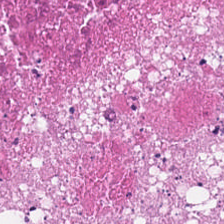Hematoxylin-and-eosin stained section.
Finding — necrotic debris.
